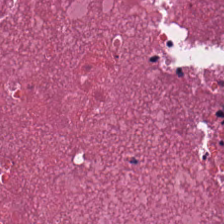H&E-stained tissue section. Cellular debris.
